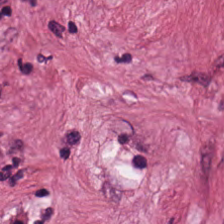Finding — tumor-associated stroma.
